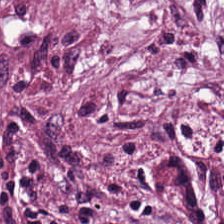H&E — tumor stroma.
